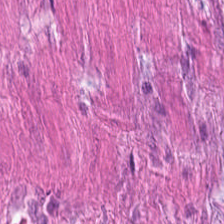WSI patch · hematoxylin-and-eosin stained section — Predominant tissue — muscularis.
